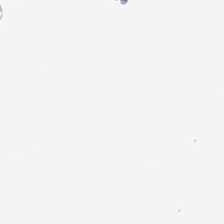Hematoxylin-and-eosin stained section; FFPE; 0.5 µm per pixel. This patch shows background (no tissue).
